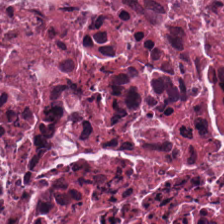H&E — necrotic debris.
